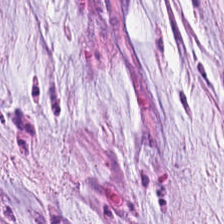20× equivalent magnification. 224×224 pixel tile. Hematoxylin and eosin.
Histology — mucus.
